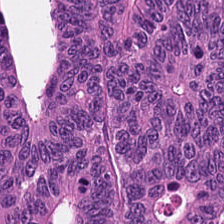Hematoxylin and eosin.
This patch shows malignant epithelium.
